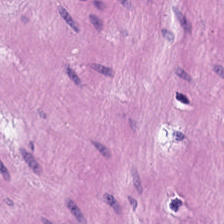Finding → smooth-muscle tissue.
